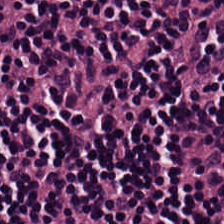H&E stain; whole-slide-image patch. The tissue here is lymphocytes.
